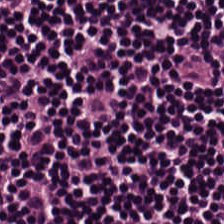Formalin-fixed paraffin-embedded section; H&E-stained tissue section; 0.5 microns per pixel — Classification: lymphocyte aggregate.
